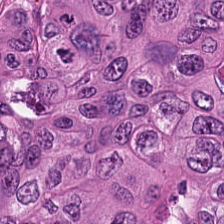0.5 microns per pixel. H&E. Q: What tissue type is shown here?
A: The field shows colorectal adenocarcinoma.
